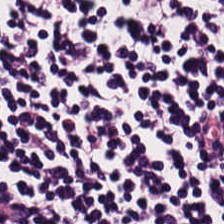Q: What tissue is shown?
A: It is lymphoid infiltrate.
